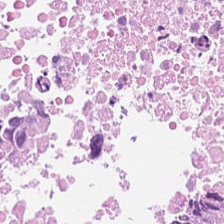H&E. Q: Identify the tissue.
A: Necrotic debris.
